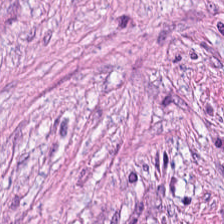Hematoxylin-and-eosin stained section. The tissue type is tumor-associated stroma.
